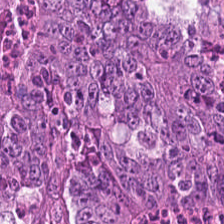224×224 px patch. H&E-stained tissue section — Tissue type: tumor epithelium.
